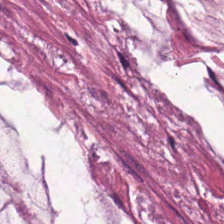H&E stain — Mucus.
